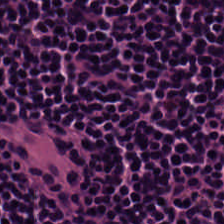H&E — Predominantly lymphocytic infiltrate.
